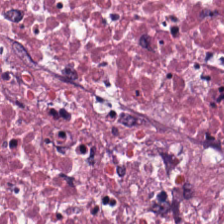Stain: H&E stain.
Tissue class: debris.
